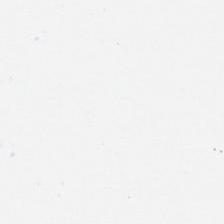H&E stain · 224×224 px patch — Field content — background (no tissue).
